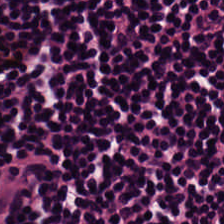Impression — lymphoid infiltrate.
